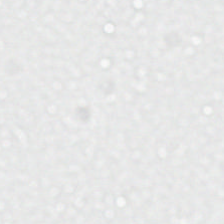Q: What does this patch show?
A: It is empty background.
